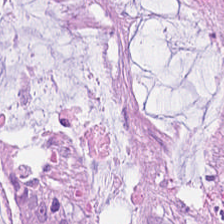H&E-stained tissue section showing mucin.
